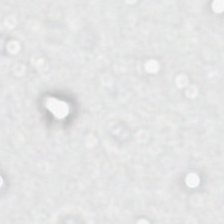H&E-stained tissue section · whole-slide-image patch · 224×224 px patch — Empty field — empty background.
